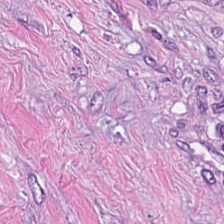0.5 µm/px · hematoxylin and eosin.
The tissue here is cancer-associated stroma.
